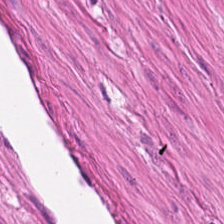H&E-stained tissue section — This field is muscularis.
